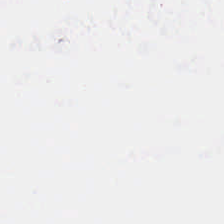Whole-slide-image patch. FFPE tissue section. H&E-stained tissue section — {"content": "empty background"}
